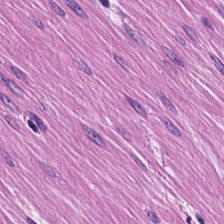H&E stain — Impression — smooth-muscle tissue.
